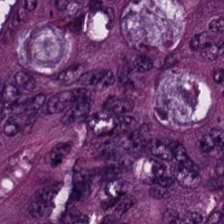FFPE; H&E; brightfield microscopy.
The predominant tissue is colorectal adenocarcinoma.
